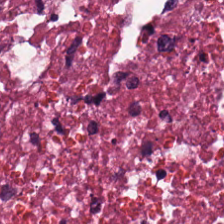H&E. Whole-slide-image patch. Finding — necrotic debris.
